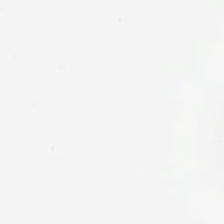Hematoxylin and eosin · WSI patch — Empty background.
